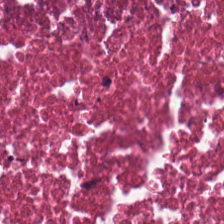H&E stain. Whole-slide-image patch. FFPE.
Histology — cellular debris.
